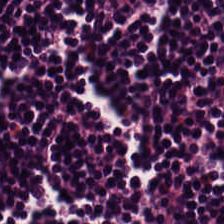This field is lymphocytes.
